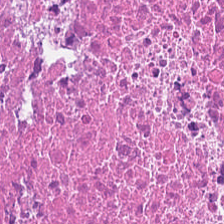H&E. WSI patch — The predominant tissue is necrotic debris.
